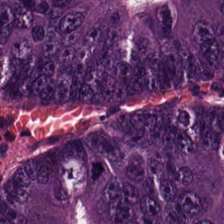This patch shows tumor epithelium.
